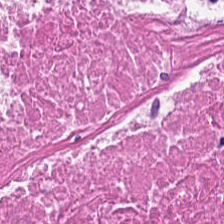H&E. Predominantly debris.
